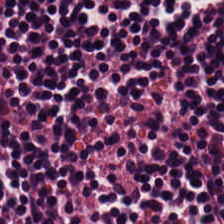H&E-stained tissue section showing lymphocyte aggregate.
